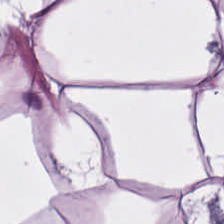224×224 px tile · hematoxylin-and-eosin stained section.
{"tissue_type": "fat tissue"}
